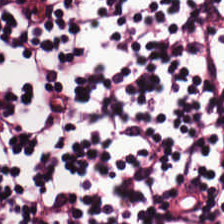Hematoxylin and eosin. Brightfield — This field is lymphocytes.
